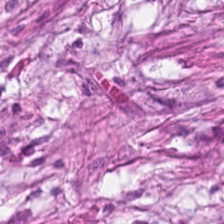Brightfield microscopy; 0.5 microns per pixel; H&E stain.
Predominantly tumor-associated stroma.
